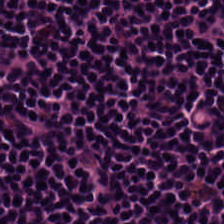H&E stain. Tissue = lymphocytes.
